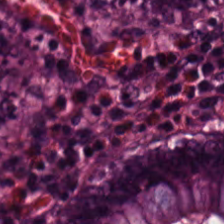Stain: H&E.
Tile size: 224×224 pixel tile.
Tissue class: benign colonic mucosa.
